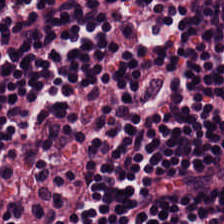Stain: hematoxylin-and-eosin stained section.
Resolution: 20× equivalent magnification.
Tissue class: lymphoid infiltrate.
